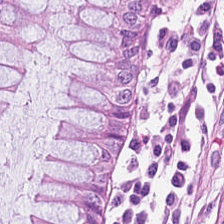Hematoxylin and eosin. This patch shows benign colonic mucosa.
